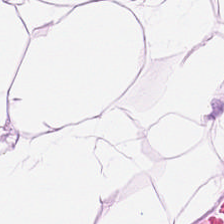This field is adipose tissue.
